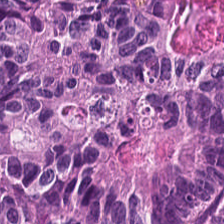H&E-stained tissue section · FFPE tissue section · brightfield microscopy — Tissue class — adenocarcinoma.
